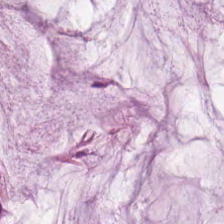Hematoxylin and eosin. 224×224 pixel tile. Showing mucus.
